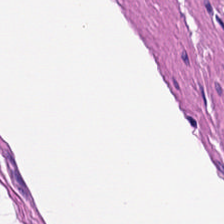Whole-slide-image patch · H&E stain.
Predominantly smooth muscle.
